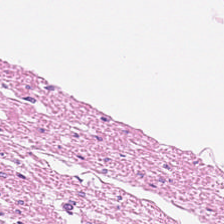H&E-stained section; the field shows smooth muscle.
